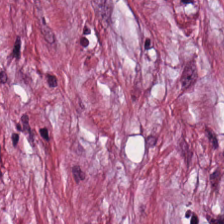H&E stain — Q: What is the predominant tissue type?
A: This is desmoplastic stroma.
